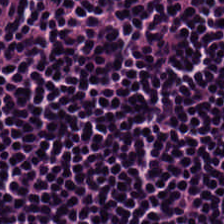H&E-stained tissue section — Finding — lymphocyte aggregate.
